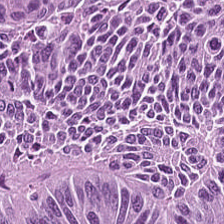Q: What tissue is shown?
A: This is tumor epithelium.
